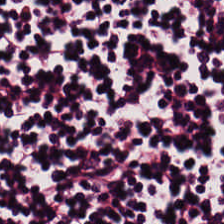Stain: H&E stain.
Tissue class: lymphocytic infiltrate.
